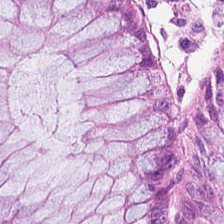H&E — benign colonic mucosa.
